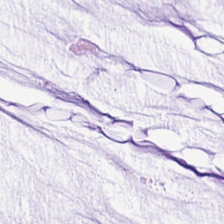H&E — The tissue here is extracellular mucin.
